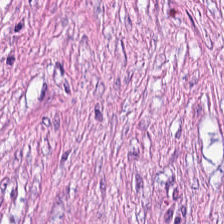H&E. Brightfield microscopy. 224×224 px patch — This patch shows tumor stroma.
